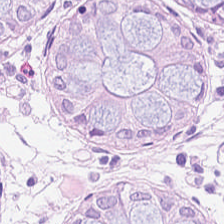Stain: H&E-stained tissue section.
Classification: benign colonic mucosa.
